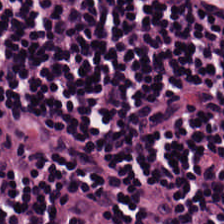H&E stain. The classification is lymphocytic infiltrate.
